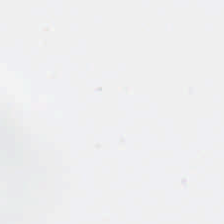Hematoxylin and eosin · FFPE tissue section.
The classification is no tissue.
